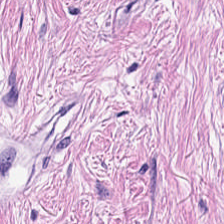WSI patch; H&E stain. Q: Identify the tissue.
A: Cancer-associated stroma.
